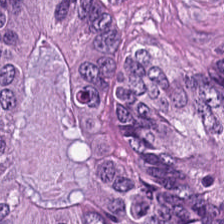H&E — Showing adenocarcinoma.
